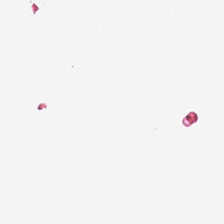Brightfield microscopy · 0.5 µm per pixel · hematoxylin-and-eosin stained section.
Histology — background.
